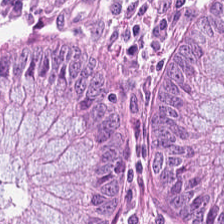Formalin-fixed paraffin-embedded section. H&E-stained tissue section. This field is normal colon mucosa.
